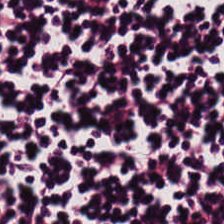Hematoxylin and eosin.
The predominant tissue is lymphocytes.
